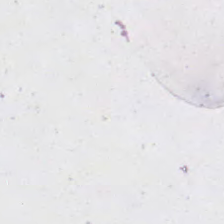H&E; 224×224 pixel tile.
Background — no tissue in this field.
